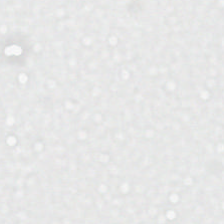Empty field — empty background.
